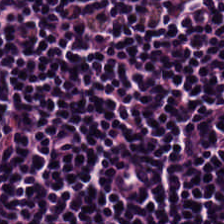H&E — Lymphocytes.
